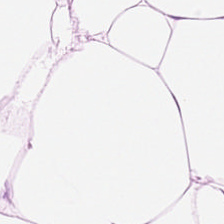0.5 µm/px; H&E; brightfield — Histology → adipocytes.
